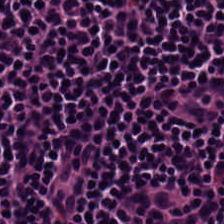Hematoxylin-and-eosin stained section. Tissue type: lymphocyte aggregate.
